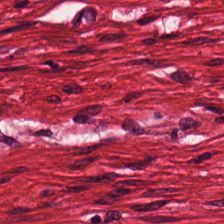{"tissue_type": "smooth muscle"}
